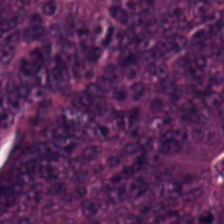H&E-stained tissue section.
The tissue type is colorectal adenocarcinoma epithelium.
